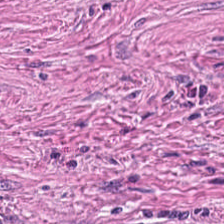0.5 µm per pixel; hematoxylin and eosin. {"tissue_type": "cancer-associated stroma"}
